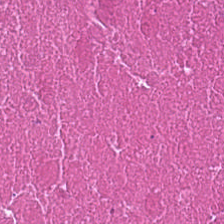H&E stain — The tissue here is debris.
